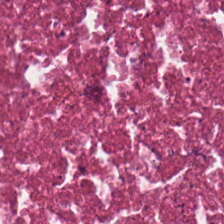Q: What is shown in this field?
A: It is necrotic debris.
